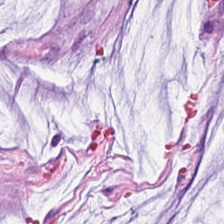Whole-slide-image patch. Hematoxylin and eosin. 224×224 px patch. The tissue class is extracellular mucin.
